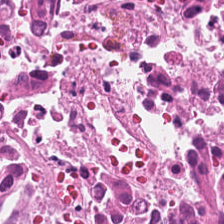WSI patch; hematoxylin-and-eosin stained section; FFPE tissue section.
Predominant tissue — necrotic debris.
